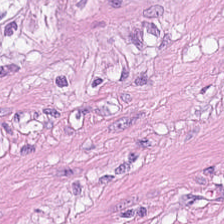20× equivalent magnification · hematoxylin and eosin. Tissue class — smooth muscle.
